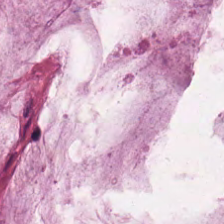H&E stain. Classification = extracellular mucin.
